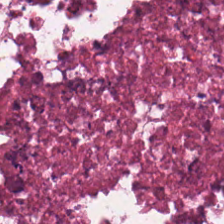H&E stain.
{"tissue_type": "cellular debris"}
